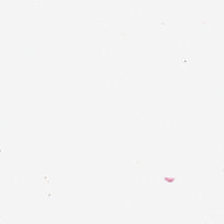Brightfield microscopy · H&E stain · 0.5 microns per pixel — Classification: empty background.
